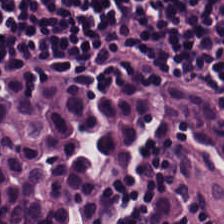Stain: H&E-stained tissue section.
Classification: lymphocyte aggregate.
